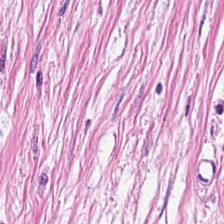WSI patch; hematoxylin and eosin.
The predominant tissue is tumor stroma.
